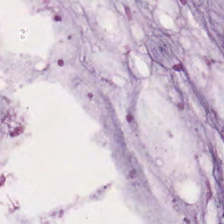Stain: H&E.
Tissue type: extracellular mucin.
